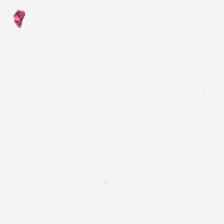0.5 µm per pixel; H&E-stained tissue section.
Q: What does this patch show?
A: It is empty background.
